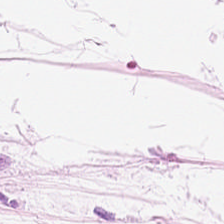Hematoxylin and eosin.
Q: What type of tissue is this?
A: It is adipose.
